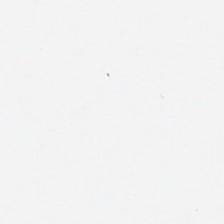Histology → empty background.
